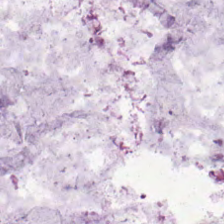Hematoxylin and eosin.
Q: What is the predominant tissue type?
A: The field shows extracellular mucin.
